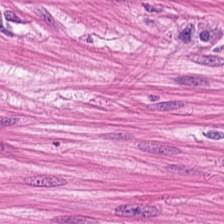H&E — The predominant tissue is muscularis.
